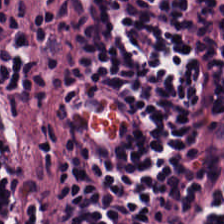Hematoxylin and eosin. Tissue type — lymphocyte aggregate.
